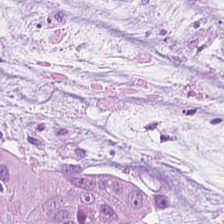H&E. Q: Identify the tissue.
A: Extracellular mucin.
